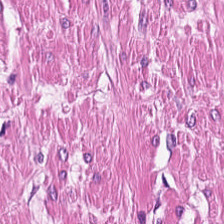Hematoxylin and eosin. FFPE tissue section.
Smooth-muscle tissue.
